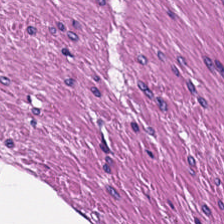H&E stain. Q: What tissue is shown?
A: The field shows muscularis.
